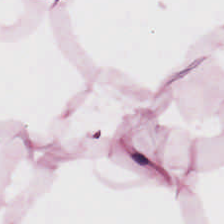Hematoxylin and eosin. Impression → fat tissue.
